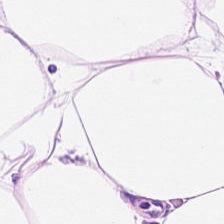H&E — Tissue: adipose.
